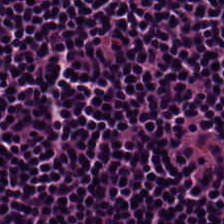Q: What type of tissue is this?
A: Lymphocytic infiltrate.
